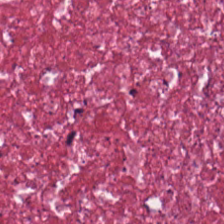H&E stain. Q: What type of tissue is this?
A: This is tumor-associated stroma.
